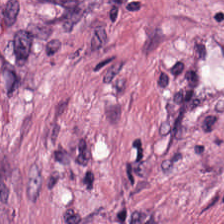Finding — cancer-associated stroma.
